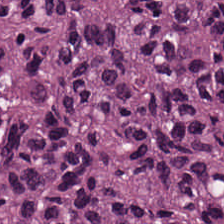H&E stain. The predominant tissue is tumor epithelium.
